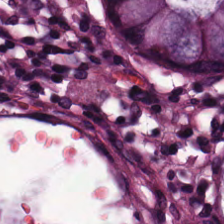The tissue type is normal colonic mucosa.
